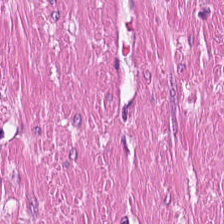H&E.
This field is smooth-muscle tissue.
